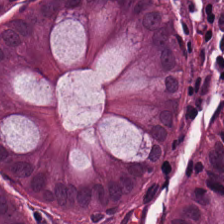Stain: H&E.
Predominant tissue: normal colonic mucosa.
